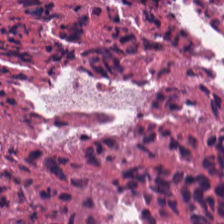Q: What is shown here?
A: The field shows cellular debris.
